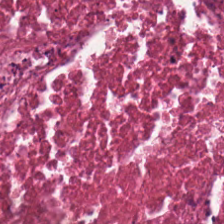0.5 microns per pixel · hematoxylin and eosin. The tissue here is cellular debris.
